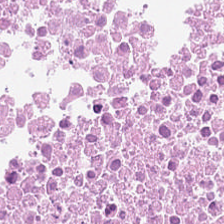224×224 px patch; H&E-stained tissue section. The classification is debris.
